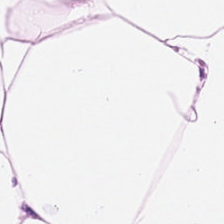H&E patch showing adipocytes.
